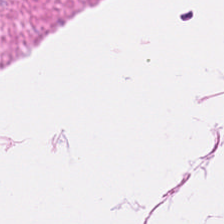Q: Classify this patch.
A: It is smooth-muscle tissue.
